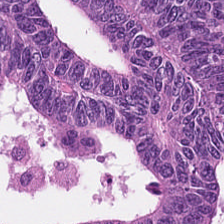224×224 pixel tile. Hematoxylin and eosin.
Malignant epithelium.
